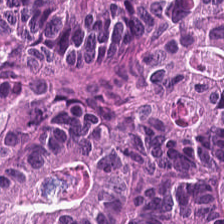H&E stain.
Finding — colorectal adenocarcinoma epithelium.
